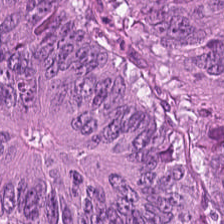H&E stain. Brightfield microscopy — Q: Identify the tissue.
A: This is colorectal adenocarcinoma epithelium.
